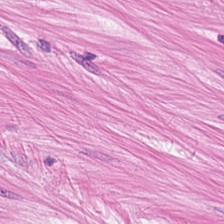Stain: H&E-stained tissue section.
Tile size: 224×224 px patch.
Preparation: formalin-fixed paraffin-embedded section.
Tissue type: smooth muscle.
